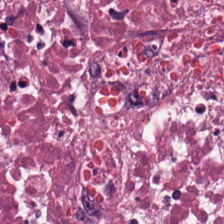H&E stain. Predominantly necrotic debris.
